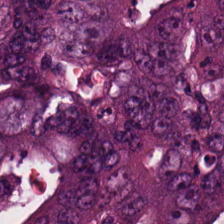0.5 µm per pixel; brightfield microscopy; hematoxylin-and-eosin stained section.
The tissue here is malignant epithelium.
